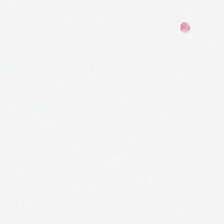H&E stain.
Q: What does this patch show?
A: This is empty background.
